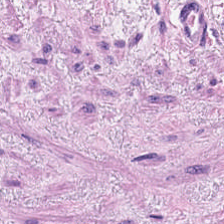Tissue type — smooth-muscle tissue.
